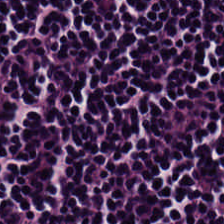Stain: H&E-stained tissue section.
Tissue: lymphocytes.
